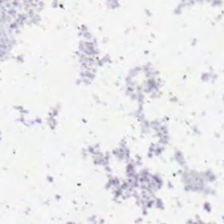Stain: H&E-stained tissue section.
Tile size: 224×224 px patch.
Acquisition: brightfield microscopy.
Content: background (no tissue).
